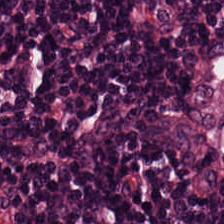224×224 pixel tile. H&E stain. 0.5 µm/px. Histology — lymphocytic infiltrate.
